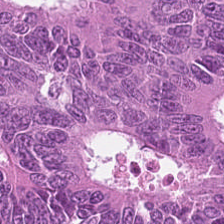This patch shows colorectal adenocarcinoma.
